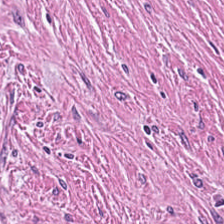H&E-stained tissue section. Showing cancer-associated stroma.
